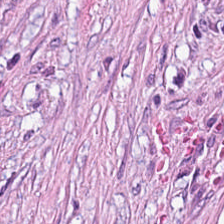Tissue class: desmoplastic stroma.
